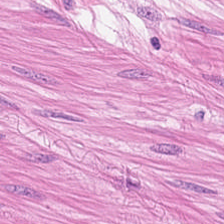Hematoxylin-and-eosin stained section — Q: What tissue type is shown here?
A: Smooth muscle.
